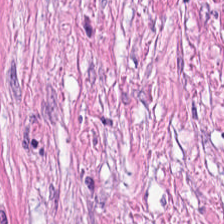Showing tumor-associated stroma.
